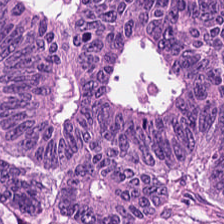Histology → tumor epithelium.
